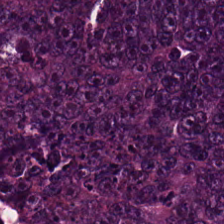Hematoxylin-and-eosin stained section. The tissue class is colorectal adenocarcinoma.
